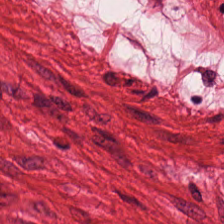H&E patch showing smooth-muscle tissue.
